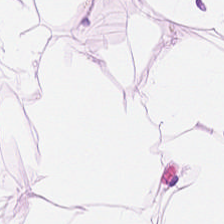Hematoxylin-and-eosin stained section; 0.5 microns per pixel.
Q: What tissue is shown?
A: This is adipose tissue.
